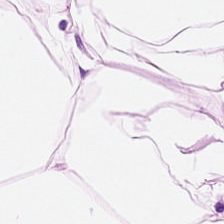WSI patch. H&E.
Classification: adipocytes.
